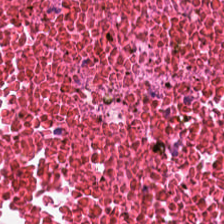20× equivalent magnification. H&E stain. The predominant tissue is cellular debris.
